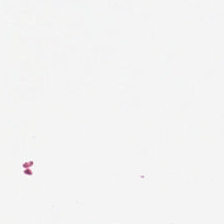Hematoxylin-and-eosin stained section. 224×224 px patch. 20× equivalent magnification. Empty background.
